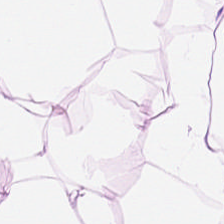224×224 pixel tile. WSI patch. H&E stain. This patch shows adipose tissue.
